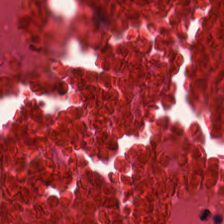Hematoxylin-and-eosin stained section; 20× equivalent magnification. Necrotic debris.
